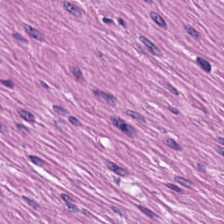Whole-slide-image patch; H&E; 0.5 µm/px.
Impression → smooth muscle.
